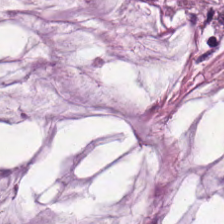FFPE tissue section; H&E — Tissue: mucus.
